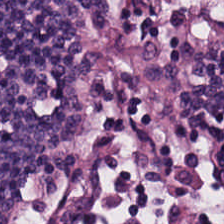Hematoxylin and eosin; whole-slide-image patch; 224×224 px tile. Tissue type = lymphoid infiltrate.
